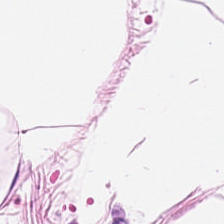H&E-stained tissue section — Q: What is shown in this field?
A: This is adipocytes.
